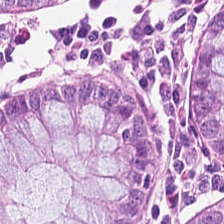H&E-stained tissue section showing benign colonic mucosa.
